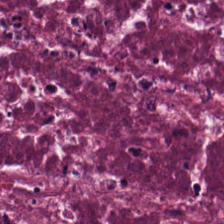Finding → debris.
